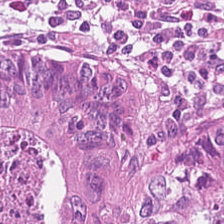H&E · 224×224 px patch. Q: Classify this patch.
A: Tumor epithelium.
